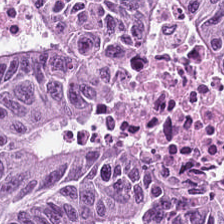The tissue here is malignant epithelium.
